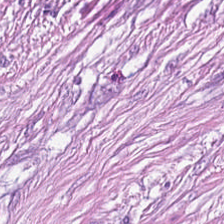H&E stain — Classification: desmoplastic stroma.
